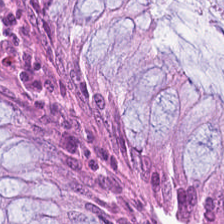Brightfield microscopy. H&E — Normal colonic mucosa.
